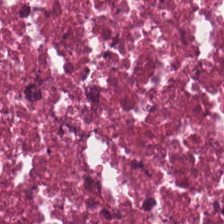Q: What is shown in this field?
A: This is cellular debris.
